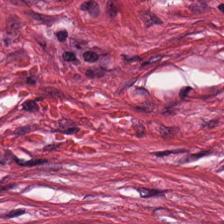H&E — Showing cancer-associated stroma.
